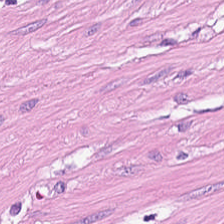224×224 px tile. H&E. 0.5 µm/px — Q: What is shown here?
A: It is smooth-muscle tissue.
